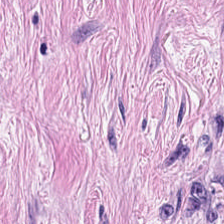Brightfield. Hematoxylin-and-eosin stained section. 0.5 µm/px. Showing cancer-associated stroma.
